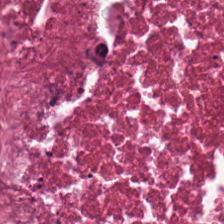Stain: H&E.
Predominant tissue: necrotic debris.
